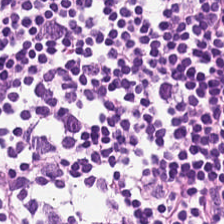Hematoxylin and eosin.
Tissue = lymphocytic infiltrate.
